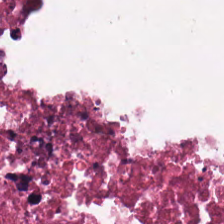Hematoxylin and eosin. Formalin-fixed paraffin-embedded section. 224×224 px tile. Histology — necrotic debris.
